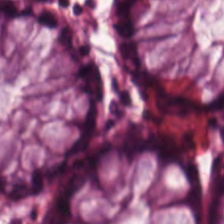H&E stain · 20× equivalent magnification · 224×224 px tile — Classification = normal colon mucosa.
